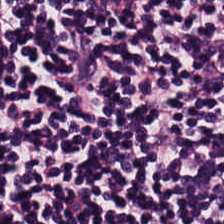H&E-stained tissue section. The classification is lymphocyte aggregate.
